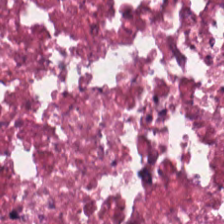FFPE tissue section. Hematoxylin-and-eosin stained section — {"tissue_type": "debris"}
